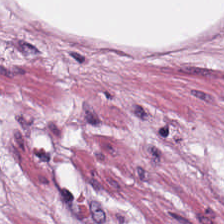Stain: hematoxylin and eosin.
Predominant tissue: adipose.
